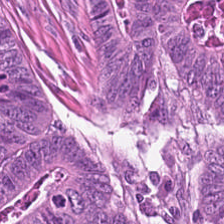H&E stain · brightfield · 224×224 pixel tile. The tissue type is colorectal adenocarcinoma epithelium.
